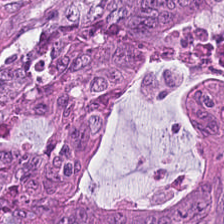Stain: hematoxylin and eosin.
Tissue type: malignant epithelium.
